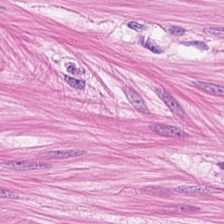H&E-stained tissue section · 224×224 pixel tile. Classification = muscularis.
